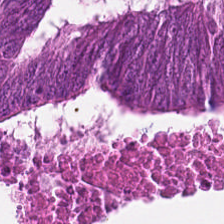Brightfield microscopy. 0.5 microns per pixel. H&E stain. Predominant tissue — malignant epithelium.
